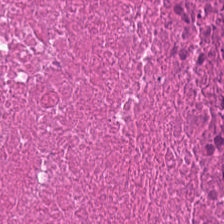The predominant tissue is necrotic debris.
